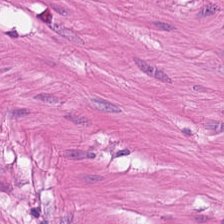224×224 px patch · hematoxylin-and-eosin stained section. {"tissue_type": "muscularis"}
